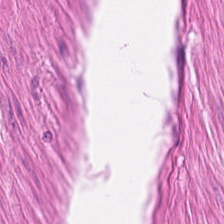224×224 px tile. FFPE tissue section. Hematoxylin-and-eosin stained section.
This field is smooth-muscle tissue.
